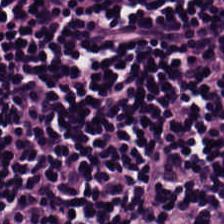Lymphocytic infiltrate.
